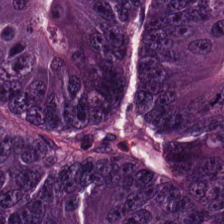H&E-stained tissue section. 0.5 µm/px — Histology → tumor epithelium.
